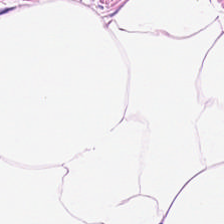Hematoxylin-and-eosin stained section. Adipose tissue.
